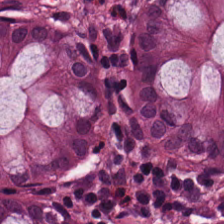Predominantly non-neoplastic colon mucosa.
